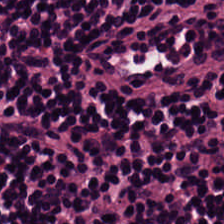H&E stain — This patch shows lymphocyte aggregate.
